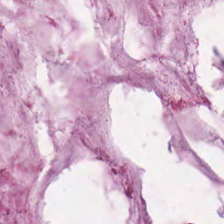Hematoxylin-and-eosin stained section — The tissue here is mucus.
